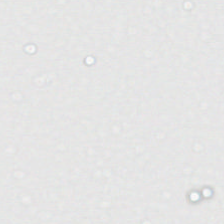Hematoxylin and eosin.
Empty field — empty background.
